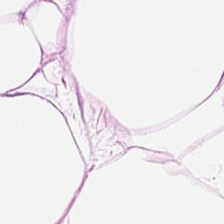224×224 px patch. 20× equivalent magnification. Hematoxylin and eosin — Fat tissue.
